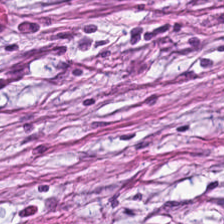Hematoxylin-and-eosin stained section.
Q: What does this patch show?
A: This is desmoplastic stroma.
